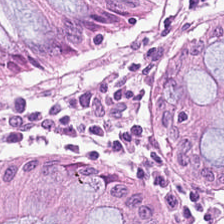Hematoxylin and eosin. This field is non-neoplastic colon mucosa.
